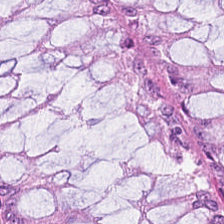Stain: H&E-stained tissue section.
Tissue: benign colonic mucosa.
